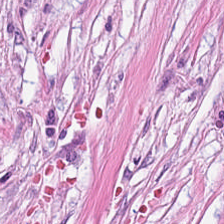Whole-slide-image patch; 224×224 pixel tile; hematoxylin-and-eosin stained section. Histology → tumor stroma.
